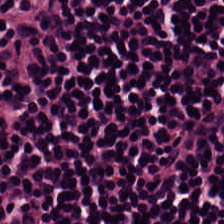224×224 pixel tile · H&E. Q: Identify the tissue.
A: This is lymphocyte aggregate.
